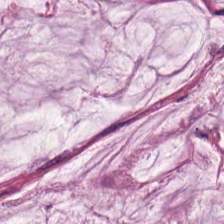H&E-stained tissue section · 224×224 px patch — Q: What is shown here?
A: This is mucin.
